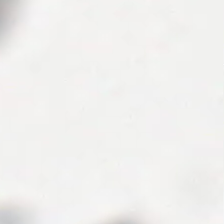Stain: hematoxylin-and-eosin stained section.
Content: background.
